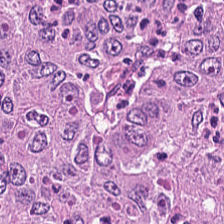{"tissue_type": "colorectal adenocarcinoma"}
